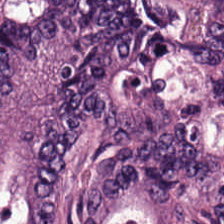224×224 pixel tile. H&E-stained tissue section — Q: What is shown here?
A: Malignant epithelium.
